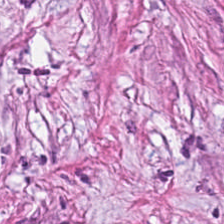WSI patch. 20× equivalent magnification. Hematoxylin and eosin.
Tissue — tumor-associated stroma.
